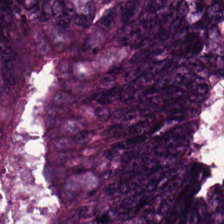Histology → tumor epithelium.
